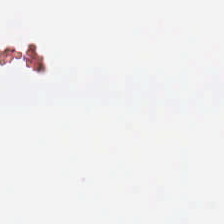H&E-stained tissue section — Background.
